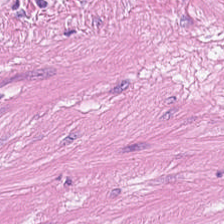H&E stain. Predominantly smooth-muscle tissue.
